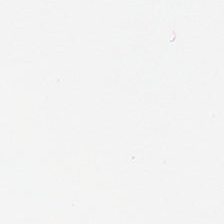Hematoxylin-and-eosin stained section · 20× equivalent magnification · FFPE — Histology — background.
